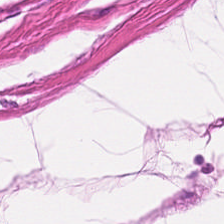This field is smooth-muscle tissue.
